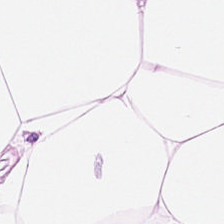224×224 px patch. H&E-stained tissue section.
{"tissue_type": "adipose tissue"}
